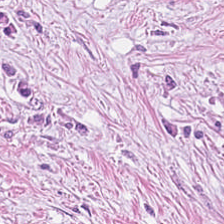Stain: H&E-stained tissue section.
Predominant tissue: tumor stroma.
